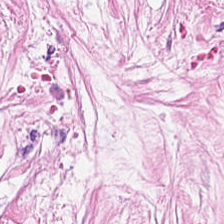Brightfield microscopy. Hematoxylin and eosin. Showing cancer-associated stroma.
